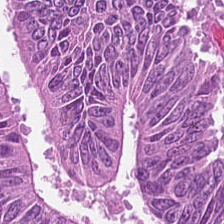224×224 pixel tile; H&E stain.
Q: Identify the tissue.
A: This is malignant epithelium.
